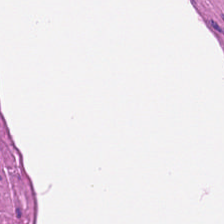Q: What is the predominant tissue type?
A: Muscularis.
